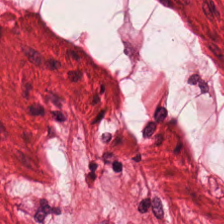Predominantly muscularis.
